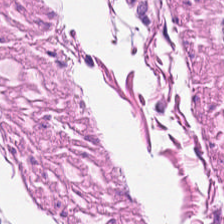H&E-stained tissue section.
Smooth muscle.
